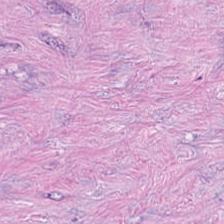H&E-stained tissue section. Q: What is shown in this field?
A: The field shows tumor-associated stroma.
